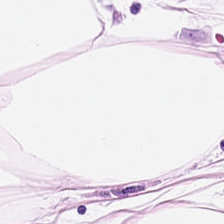Hematoxylin-and-eosin stained section. Tissue = fat tissue.
